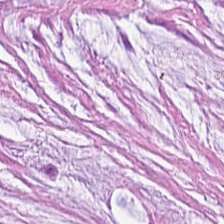Finding → mucin.
